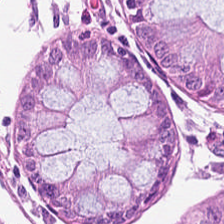Hematoxylin and eosin.
Q: What tissue is shown?
A: Normal colonic mucosa.
